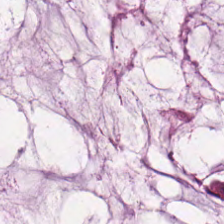H&E stain · brightfield — The predominant tissue is extracellular mucin.
